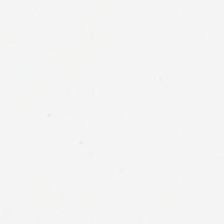H&E stain — No tissue.
